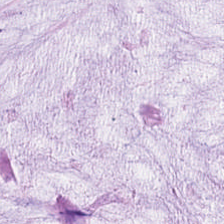H&E-stained tissue section; 224×224 px patch.
Predominantly mucus.
